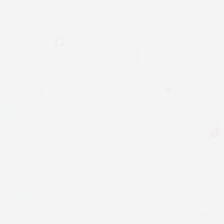The content is background.
